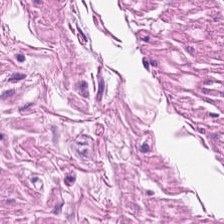Showing smooth muscle.
